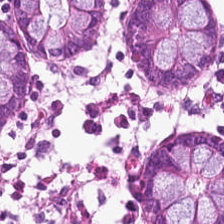Hematoxylin and eosin.
Finding → normal colonic mucosa.
